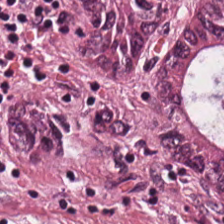Hematoxylin-and-eosin stained section — Q: Identify the tissue.
A: This is colorectal adenocarcinoma epithelium.
